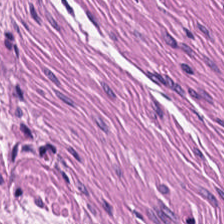H&E-stained tissue section. Tissue class = smooth-muscle tissue.
